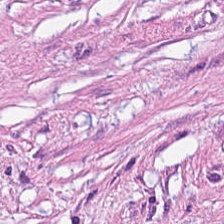Tissue type — desmoplastic stroma.
